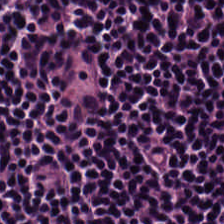Hematoxylin-and-eosin stained section.
Lymphoid infiltrate.
